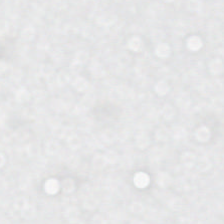FFPE. H&E — Q: What is shown here?
A: It is background (no tissue).
